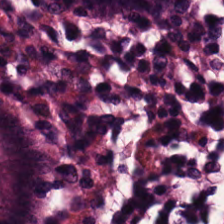0.5 µm/px. H&E stain. Q: What is shown here?
A: The field shows non-neoplastic colon mucosa.
